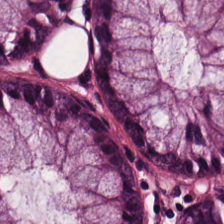0.5 µm per pixel · H&E. Classification — benign colonic mucosa.
